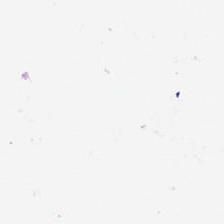Formalin-fixed paraffin-embedded section; hematoxylin and eosin; 224×224 px patch — Finding → empty background.
